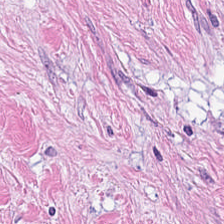224×224 pixel tile · H&E — Tumor stroma.
